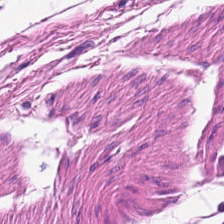Muscularis.
